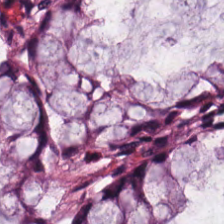Hematoxylin and eosin · FFPE · brightfield.
{"tissue_type": "normal colonic mucosa"}
